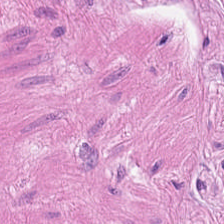H&E stain; 20× equivalent magnification; 224×224 px patch. The tissue here is muscularis.
